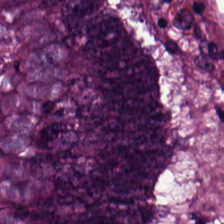Hematoxylin and eosin.
Predominantly malignant epithelium.
